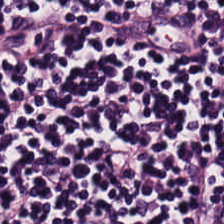0.5 µm per pixel; hematoxylin and eosin.
Showing lymphocyte aggregate.
